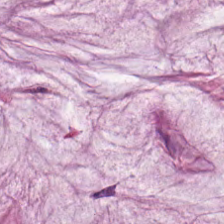H&E — {"tissue_type": "extracellular mucin"}
